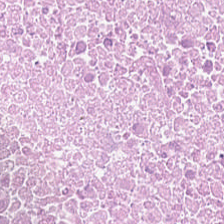FFPE tissue section; H&E.
{"tissue_type": "debris"}
